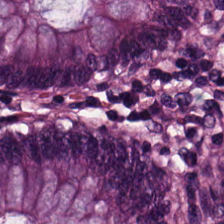224×224 px patch. 20× equivalent magnification. Hematoxylin and eosin.
Impression — normal colonic mucosa.
